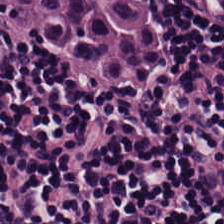The classification is lymphocyte aggregate.
